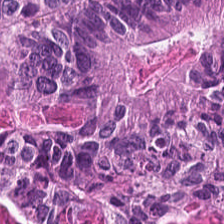H&E — malignant epithelium.
